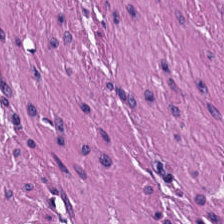FFPE; hematoxylin and eosin — Q: What tissue type is shown here?
A: This is smooth muscle.
